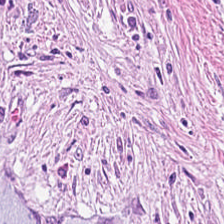Hematoxylin and eosin.
Classification — tumor-associated stroma.
